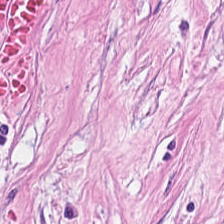H&E stain.
Histology — tumor-associated stroma.
